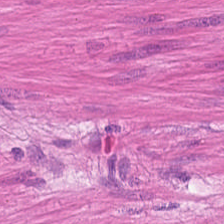Hematoxylin-and-eosin stained section.
Predominant tissue = smooth-muscle tissue.
